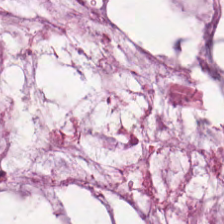H&E. Impression — mucin.
